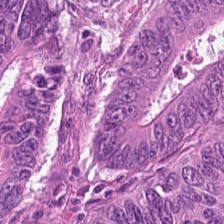0.5 microns per pixel · H&E.
The tissue type is tumor epithelium.
